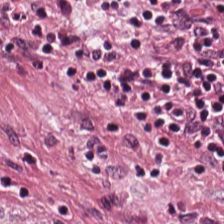Hematoxylin and eosin. Q: What tissue is shown?
A: Colorectal adenocarcinoma.
